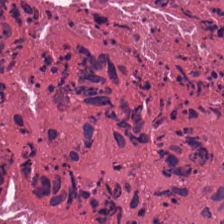Hematoxylin and eosin; brightfield microscopy.
Predominantly cellular debris.
